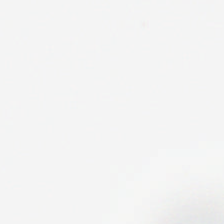Hematoxylin-and-eosin stained section.
This field is background (no tissue).
